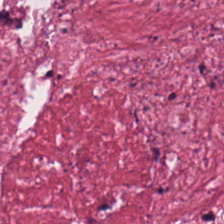H&E stain. 224×224 px patch. Tissue class: desmoplastic stroma.
